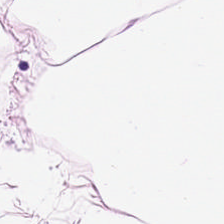This patch shows fat tissue.
